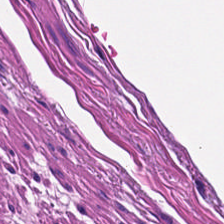Stain: H&E.
Tissue type: muscularis.
